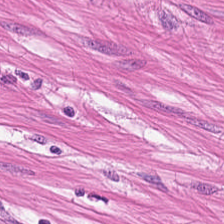0.5 µm per pixel · hematoxylin and eosin. Showing smooth-muscle tissue.
